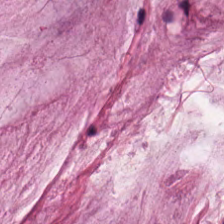WSI patch. 224×224 px patch. Hematoxylin-and-eosin stained section.
Tissue type = mucus.
